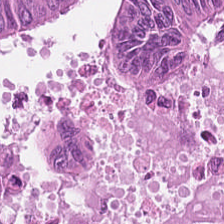Colorectal adenocarcinoma.
